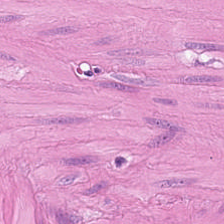Q: Classify this patch.
A: This is smooth muscle.
